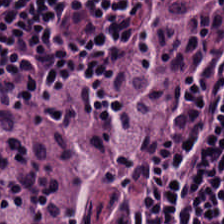H&E. Brightfield microscopy.
Predominantly lymphocyte aggregate.
